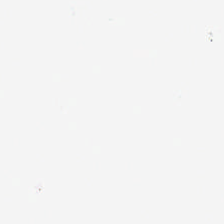Impression — empty background.
